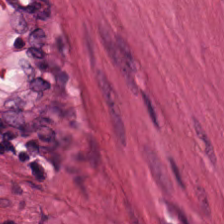Classification: smooth-muscle tissue.
